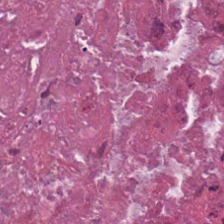Stain: H&E-stained tissue section.
Classification: debris.
